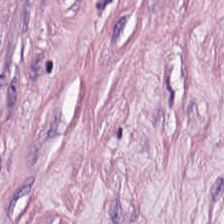H&E stain; 224×224 pixel tile — Q: What does this patch show?
A: It is desmoplastic stroma.
